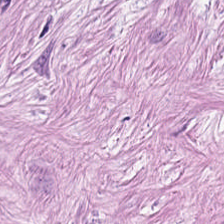Hematoxylin-and-eosin stained section.
Q: What tissue type is shown here?
A: The field shows tumor stroma.
